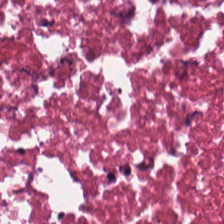Hematoxylin-and-eosin stained section — Predominantly cellular debris.
